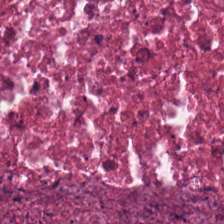H&E stain. This field is debris.
